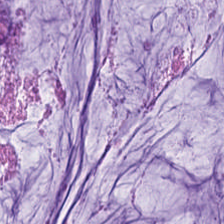H&E stain.
Predominantly mucus.
